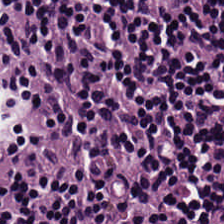Hematoxylin and eosin · formalin-fixed paraffin-embedded section · 0.5 µm/px.
This patch shows lymphocyte aggregate.
